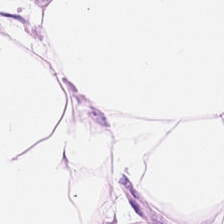224×224 px tile · H&E — This field is adipose tissue.
